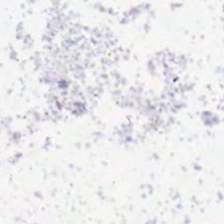No tissue present; background only.
